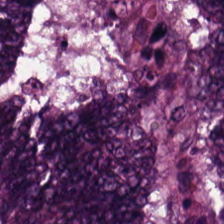Hematoxylin-and-eosin stained section.
Q: Identify the tissue.
A: The field shows adenocarcinoma.
